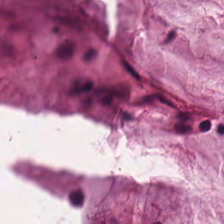H&E stain.
Predominantly mucus.
